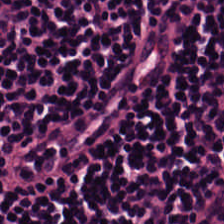Hematoxylin-and-eosin stained section — Showing lymphocyte aggregate.
